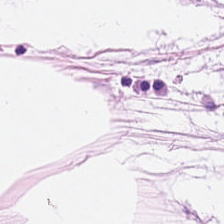224×224 pixel tile · H&E-stained tissue section · FFPE tissue section — Tissue class — adipose tissue.
